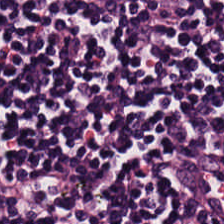Formalin-fixed paraffin-embedded section · H&E · 224×224 pixel tile — Tissue: lymphocytic infiltrate.
